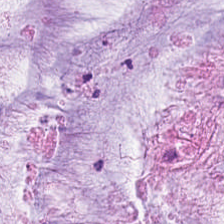WSI patch. Hematoxylin and eosin. Q: What tissue type is shown here?
A: Extracellular mucin.
